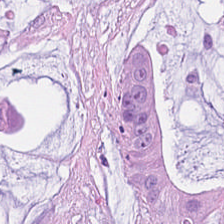224×224 px tile; hematoxylin-and-eosin stained section.
Impression → extracellular mucin.
